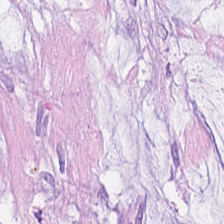Hematoxylin and eosin — The predominant tissue is mucus.
